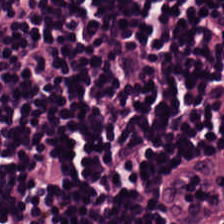224×224 px tile; hematoxylin and eosin.
Q: What tissue is shown?
A: This is lymphoid infiltrate.
